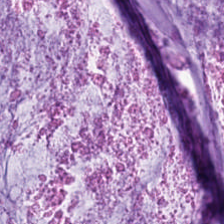Predominantly mucin.
